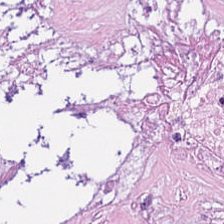Brightfield. Formalin-fixed paraffin-embedded section. Hematoxylin and eosin — Q: What is shown in this field?
A: The field shows cellular debris.
